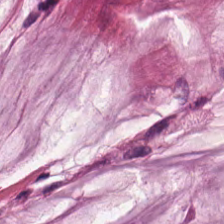Hematoxylin and eosin; 0.5 microns per pixel — The predominant tissue is extracellular mucin.
